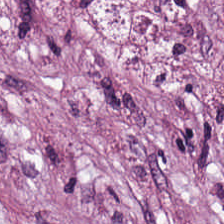H&E-stained tissue section; FFPE. {"tissue_type": "cancer-associated stroma"}
